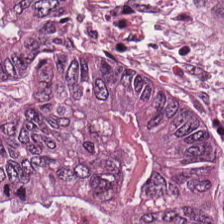FFPE tissue section · H&E stain · whole-slide-image patch — Histology → adenocarcinoma.
